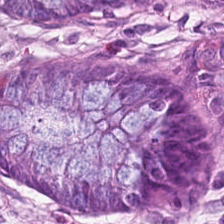FFPE tissue section · hematoxylin and eosin. Tissue class = benign colonic mucosa.
